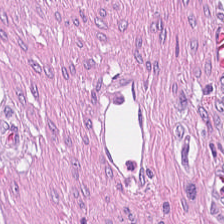Q: What is shown here?
A: It is tumor stroma.
